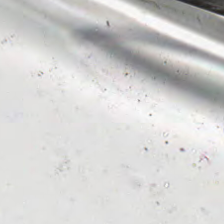No tissue present; background only.
